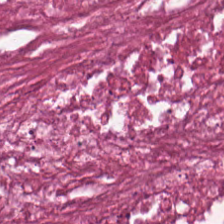H&E-stained tissue section.
This field is debris.
